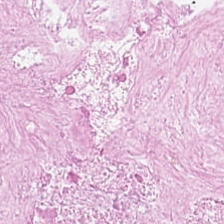H&E-stained tissue section; brightfield microscopy; 20× equivalent magnification — The tissue class is necrotic debris.
